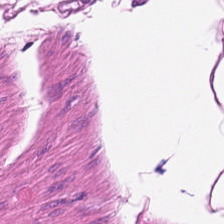H&E stain — Predominantly smooth muscle.
